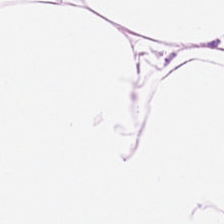Q: What does this patch show?
A: This is adipocytes.
